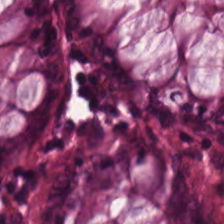Normal colon mucosa.
